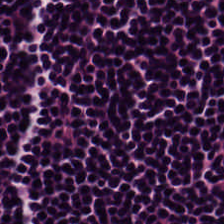Hematoxylin-and-eosin section: lymphoid infiltrate.
